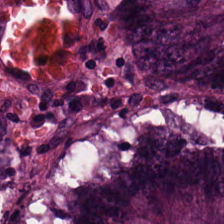Stain: hematoxylin-and-eosin stained section.
Classification: adenocarcinoma.
